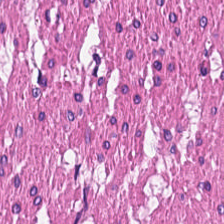Hematoxylin and eosin. Tissue = smooth-muscle tissue.
